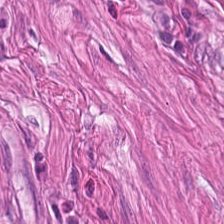Hematoxylin-and-eosin stained section.
This field is smooth muscle.
